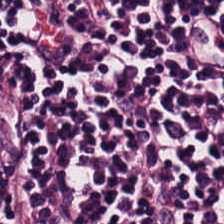WSI patch; H&E-stained tissue section — Q: Identify the tissue.
A: The field shows lymphocytic infiltrate.
